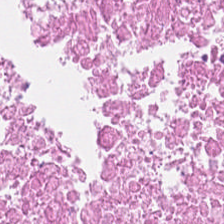H&E. Brightfield.
Predominantly necrotic debris.
